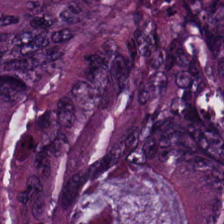H&E-stained tissue section. 224×224 pixel tile. 20× equivalent magnification. Colorectal adenocarcinoma.
